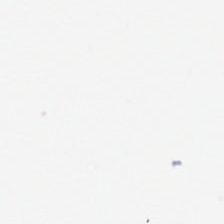Hematoxylin-and-eosin stained section — Background — no tissue in this field.
